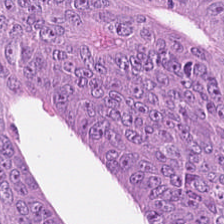Hematoxylin and eosin — Tissue class = tumor epithelium.
